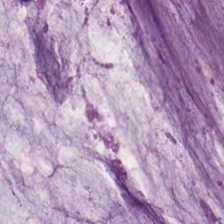20× equivalent magnification; H&E; whole-slide-image patch — Q: What is shown in this field?
A: The field shows mucus.
